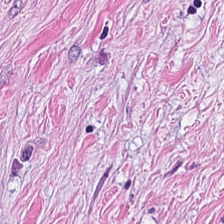Hematoxylin-and-eosin stained section. Q: Classify this patch.
A: It is tumor stroma.
